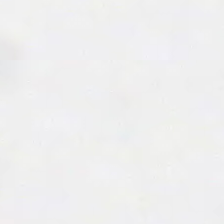FFPE; H&E stain; 0.5 µm/px — This patch shows background.
